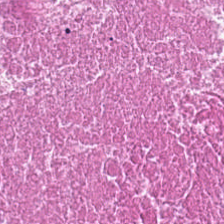Q: What is the predominant tissue type?
A: This is cellular debris.
